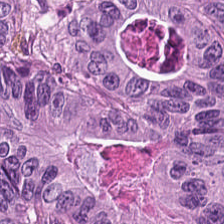H&E. The tissue here is malignant epithelium.
